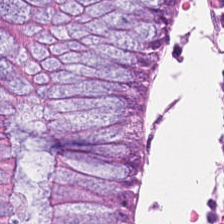The tissue type is benign colonic mucosa.
